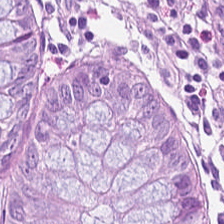0.5 microns per pixel; whole-slide-image patch; H&E stain. Classification = non-neoplastic colon mucosa.
